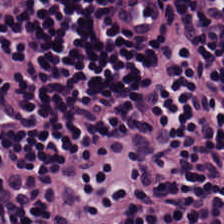H&E-stained tissue section. 0.5 µm per pixel.
Histology — lymphocyte aggregate.
